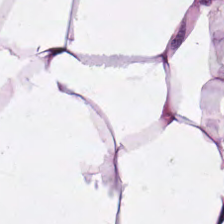FFPE · H&E-stained tissue section · 0.5 µm per pixel. This patch shows adipose.
